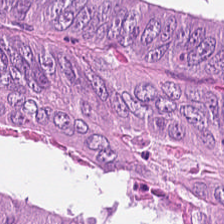20× equivalent magnification. Hematoxylin-and-eosin stained section. Classification — tumor epithelium.
